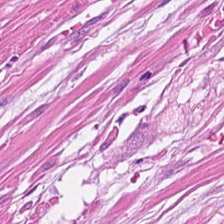H&E; 20× equivalent magnification; FFPE.
Q: Identify the tissue.
A: This is smooth muscle.
